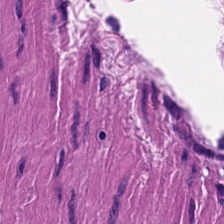Hematoxylin-and-eosin section: smooth muscle.
